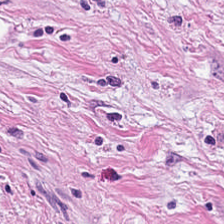H&E stain. Tissue: tumor stroma.
